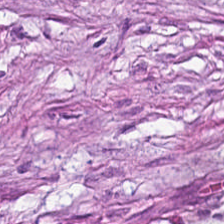H&E — Q: What is shown here?
A: Tumor-associated stroma.
